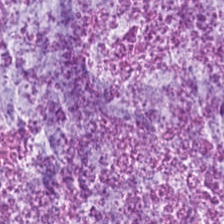Hematoxylin and eosin — Finding → mucus.
